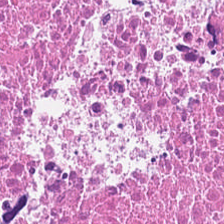H&E-stained tissue section — Q: Identify the tissue.
A: This is necrotic debris.
